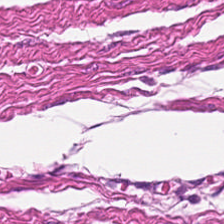Formalin-fixed paraffin-embedded section. H&E.
Q: What is the predominant tissue type?
A: The field shows smooth-muscle tissue.
